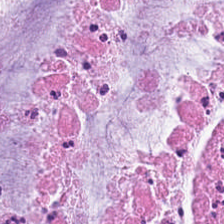Histology → mucus.
